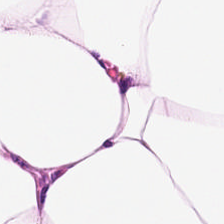Stain: H&E.
Tissue class: adipose tissue.
